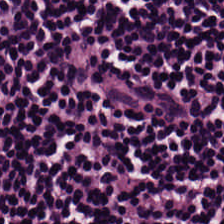Q: What does this patch show?
A: Lymphoid infiltrate.
